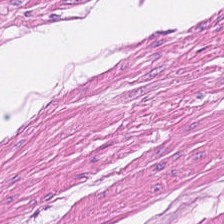0.5 microns per pixel; H&E.
Predominantly muscularis.
